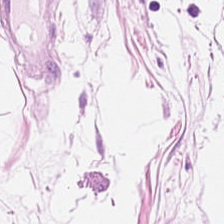20× equivalent magnification · H&E stain — This patch shows fat tissue.
